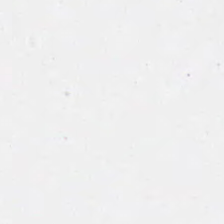H&E — Q: What is shown in this field?
A: It is no tissue.
